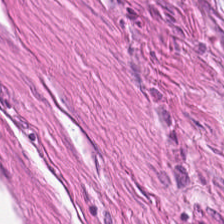Classification: smooth muscle.
